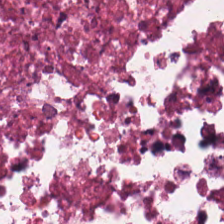Classification — debris.
